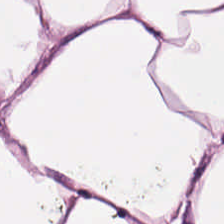H&E stain. Whole-slide-image patch.
This patch shows fat tissue.
